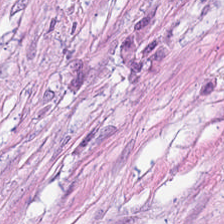H&E — tumor stroma.
